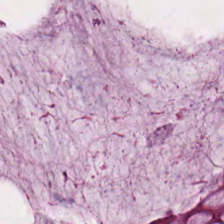Stain: H&E.
Tissue class: non-neoplastic colon mucosa.
